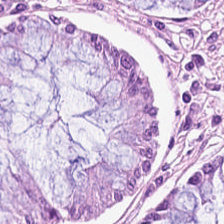Hematoxylin and eosin; 20× equivalent magnification; 224×224 pixel tile.
{"tissue_type": "normal colonic mucosa"}
